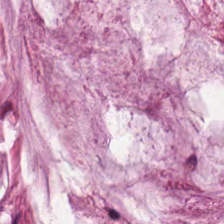This field is mucin.
